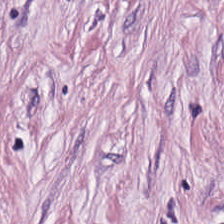H&E-stained tissue section · 224×224 pixel tile · 0.5 microns per pixel — Cancer-associated stroma.
